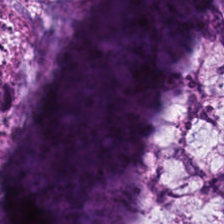Stain: H&E stain.
Preparation: formalin-fixed paraffin-embedded section.
Tissue type: mucin.
